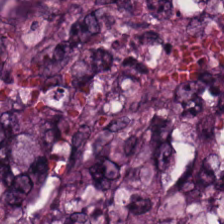Histology — colorectal adenocarcinoma.
